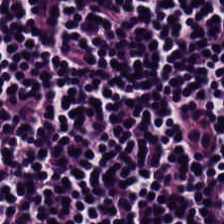H&E. The tissue here is lymphoid infiltrate.
